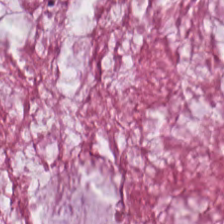FFPE tissue section · H&E — The predominant tissue is mucin.
